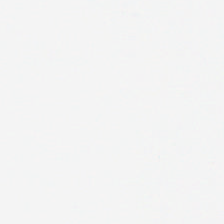Stain: H&E-stained tissue section.
Field content: empty background.
